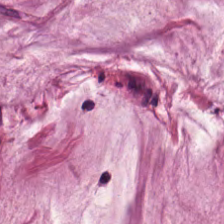H&E stain · whole-slide-image patch.
This patch shows mucin.
